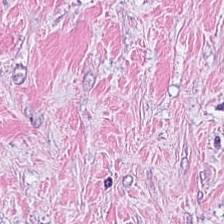Histology → tumor stroma.
